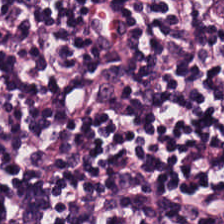Hematoxylin-and-eosin stained section. Tissue type = lymphocytes.
